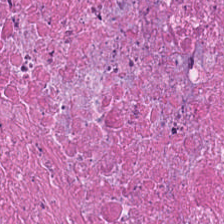Impression — necrotic debris.
